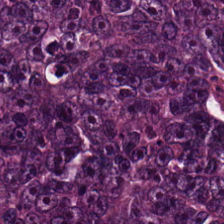Hematoxylin and eosin. Predominantly adenocarcinoma.
